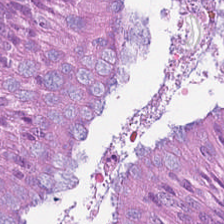0.5 microns per pixel; hematoxylin-and-eosin stained section — Classification — tumor epithelium.
